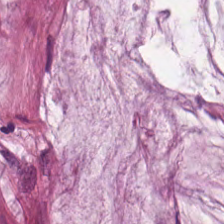Tissue class — mucin.
